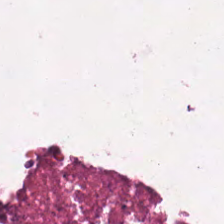Stain: hematoxylin-and-eosin stained section.
Tissue: necrotic debris.
